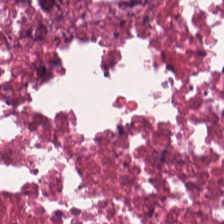Hematoxylin-and-eosin stained section — Q: Identify the tissue.
A: It is necrotic debris.
